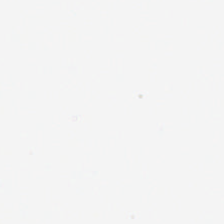H&E stain. This field is background (no tissue).
